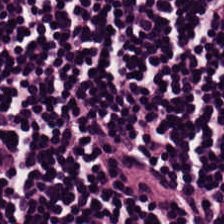0.5 microns per pixel; hematoxylin and eosin.
Finding → lymphocyte aggregate.
